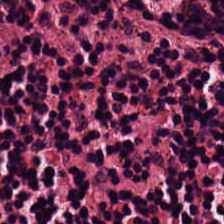The tissue is lymphoid infiltrate.
